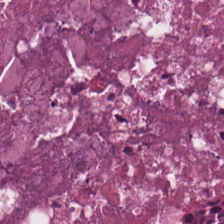Stain: hematoxylin-and-eosin stained section.
Resolution: 0.5 microns per pixel.
Tissue: debris.
